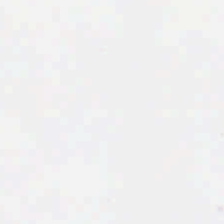H&E — Q: What is shown in this field?
A: The field shows background.
